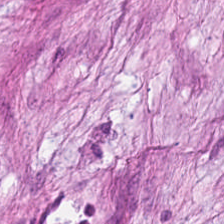Q: What tissue type is shown here?
A: This is tumor-associated stroma.
